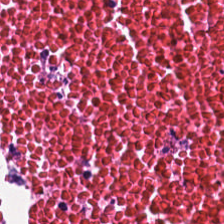Predominantly cellular debris.
